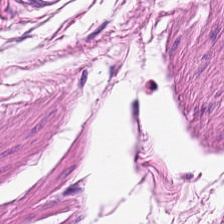H&E-stained tissue section · 224×224 pixel tile · whole-slide-image patch. Histology — muscularis.
